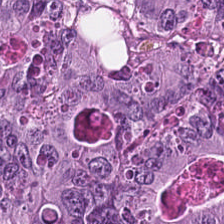Hematoxylin-and-eosin stained section. Showing adenocarcinoma.
